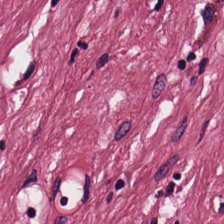H&E-stained tissue section showing tumor-associated stroma.
